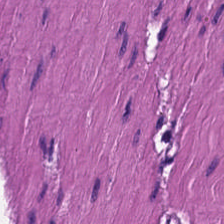H&E stain — Classification = muscularis.
